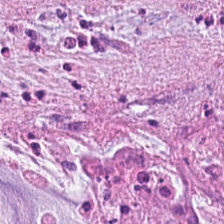H&E stain · 0.5 µm per pixel — Tissue: mucus.
